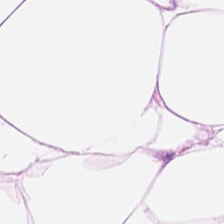0.5 µm/px. 224×224 px patch. H&E-stained tissue section. This field is adipose tissue.
